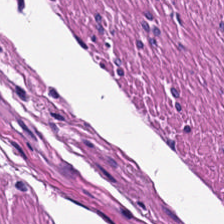H&E-stained section; the field shows smooth muscle.
